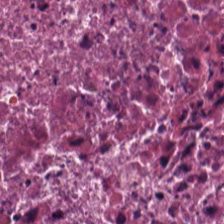H&E. WSI patch. FFPE.
Tissue class — cellular debris.
